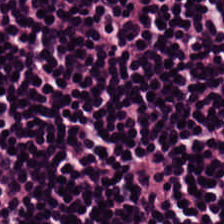The tissue here is lymphocytes.
